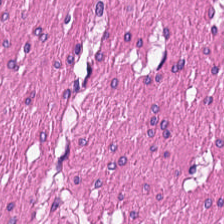H&E-stained tissue section — Finding — muscularis.
